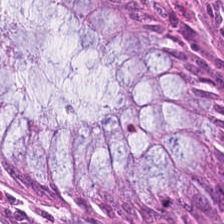H&E stain. Finding — normal colonic mucosa.
